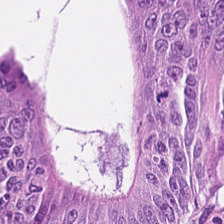H&E.
Q: What is shown here?
A: It is malignant epithelium.
